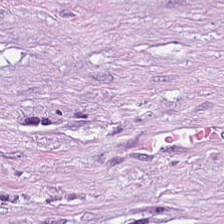20× equivalent magnification; hematoxylin and eosin; 224×224 px tile. The tissue here is cancer-associated stroma.
